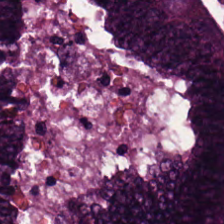Hematoxylin and eosin.
Classification = colorectal adenocarcinoma epithelium.
